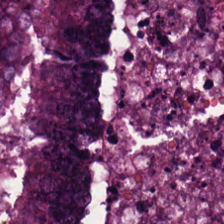0.5 microns per pixel · hematoxylin and eosin.
Q: What is the predominant tissue type?
A: It is colorectal adenocarcinoma epithelium.
